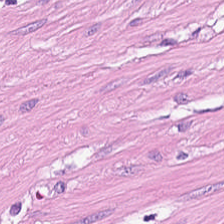H&E stain.
Predominantly muscularis.
